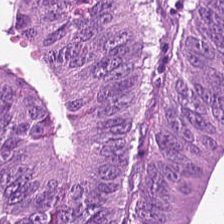Predominant tissue — adenocarcinoma.
